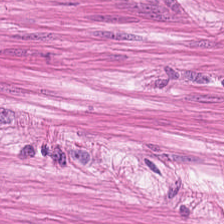Q: What does this patch show?
A: The field shows muscularis.
